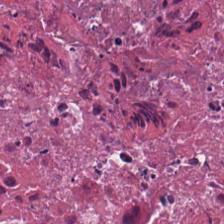H&E-stained tissue section; 0.5 µm/px.
Q: What is the predominant tissue type?
A: It is cellular debris.
